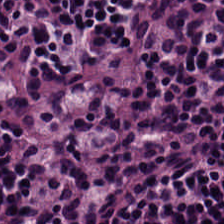Hematoxylin-and-eosin stained section. 0.5 microns per pixel — This field is lymphoid infiltrate.
